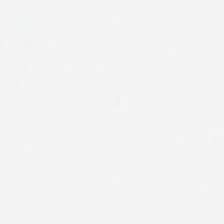Content: no tissue.
